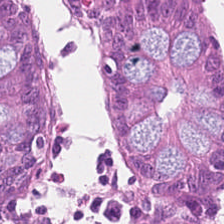H&E-stained tissue section. FFPE.
Q: What is shown in this field?
A: Normal colonic mucosa.
